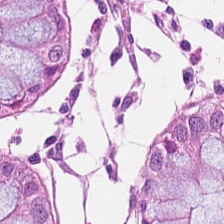H&E-stained tissue section — Impression — non-neoplastic colon mucosa.
